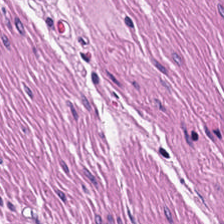Q: Classify this patch.
A: This is muscularis.
